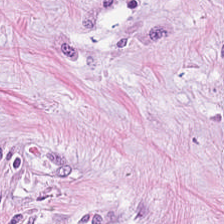H&E-stained tissue section — Predominantly cancer-associated stroma.
